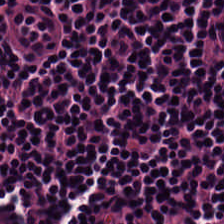Hematoxylin and eosin — Predominant tissue: lymphocytic infiltrate.
